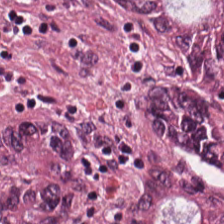Hematoxylin-and-eosin stained section. Q: What tissue type is shown here?
A: Adenocarcinoma.
